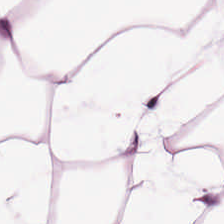Hematoxylin and eosin; 224×224 pixel tile. Predominantly fat tissue.
